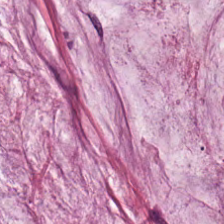Q: Identify the tissue.
A: It is mucin.
